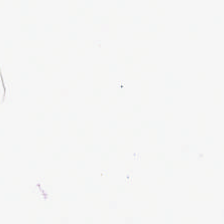H&E-stained tissue section.
Field content = no tissue.
